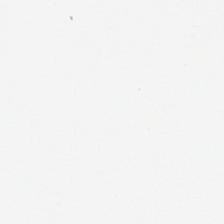Background — no tissue in this field.
